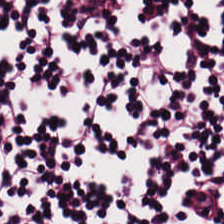H&E. 224×224 px patch.
Q: Classify this patch.
A: It is lymphocytes.
